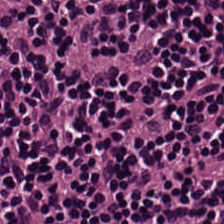H&E-stained tissue section.
Tissue: lymphocytes.
